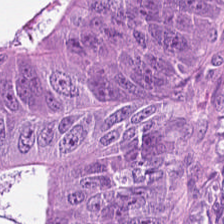H&E-stained tissue section.
Tissue class = tumor epithelium.
